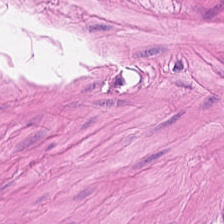Formalin-fixed paraffin-embedded section. H&E — This patch shows muscularis.
